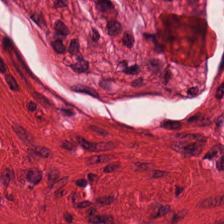224×224 pixel tile · H&E-stained tissue section · 0.5 microns per pixel. The tissue type is muscularis.
